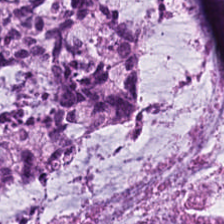Predominantly mucus.
